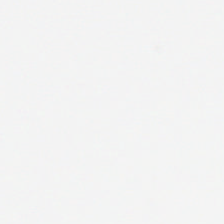FFPE. H&E-stained tissue section. This field is background (no tissue).
